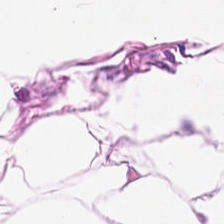Impression — adipose tissue.
